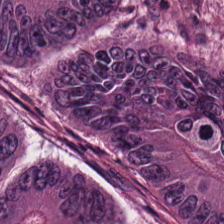Stain: H&E.
Resolution: 20× equivalent magnification.
Tissue class: colorectal adenocarcinoma.
